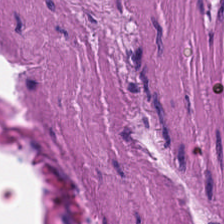H&E stain; brightfield microscopy; 224×224 px tile. The predominant tissue is muscularis.
